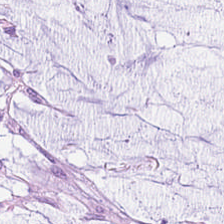Hematoxylin-and-eosin stained section. FFPE. WSI patch.
Q: What is shown here?
A: This is extracellular mucin.
